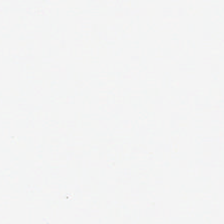H&E-stained tissue section · 224×224 px tile.
Field content — background (no tissue).
